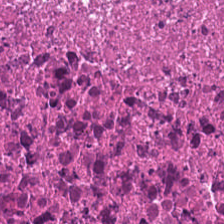0.5 microns per pixel. H&E-stained tissue section — Q: What does this patch show?
A: The field shows debris.
